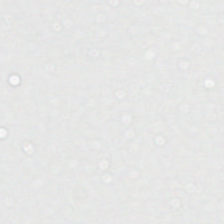H&E stain; brightfield microscopy. Classification — background (no tissue).
